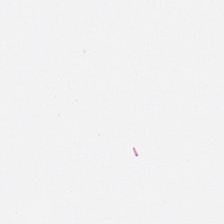H&E-stained tissue section · 0.5 µm per pixel.
Empty field — background.
